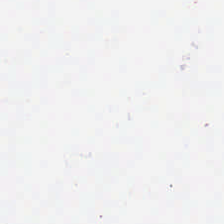Empty field — empty background.
